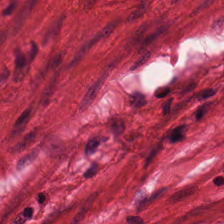This patch shows smooth-muscle tissue.
